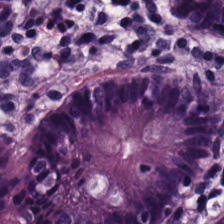H&E.
Q: What is shown here?
A: This is benign colonic mucosa.
